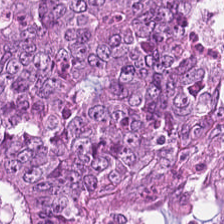The tissue here is tumor epithelium.
